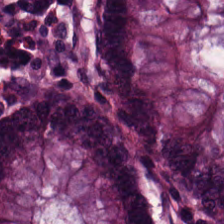H&E stain. Whole-slide-image patch.
Classification: non-neoplastic colon mucosa.
